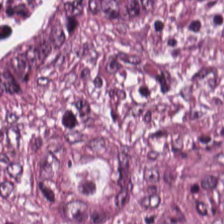Hematoxylin-and-eosin stained section. Brightfield — Q: What is shown in this field?
A: The field shows malignant epithelium.
